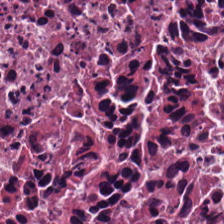Tissue class — necrotic debris.
